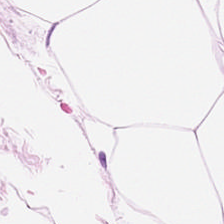Q: What tissue type is shown here?
A: The field shows adipocytes.
